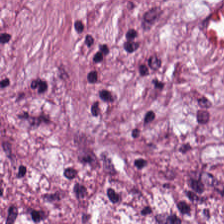Tissue: tumor-associated stroma.
